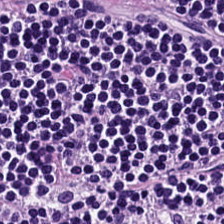Stain: H&E stain.
Tissue: lymphocytes.
